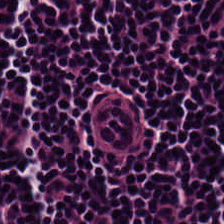H&E-stained tissue section.
The tissue type is lymphocytic infiltrate.
